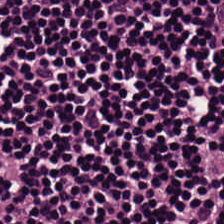H&E stain. 0.5 µm per pixel. FFPE.
The predominant tissue is lymphocyte aggregate.
